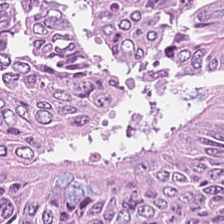The classification is colorectal adenocarcinoma epithelium.
